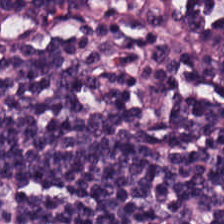Histology — lymphocytic infiltrate.
